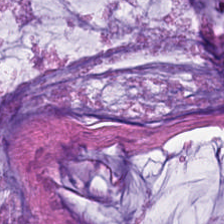Tissue class = mucin.
